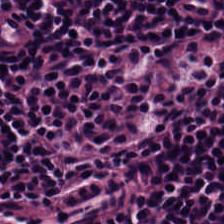Hematoxylin and eosin · formalin-fixed paraffin-embedded section · 224×224 px patch — Q: What tissue type is shown here?
A: The field shows lymphocytes.
